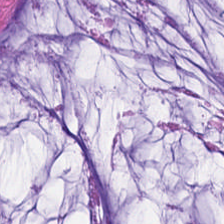FFPE tissue section. WSI patch. H&E-stained tissue section. Finding — extracellular mucin.
